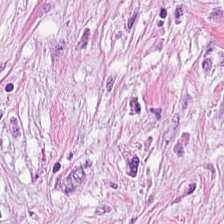FFPE tissue section · WSI patch · hematoxylin-and-eosin stained section — Tumor stroma.
